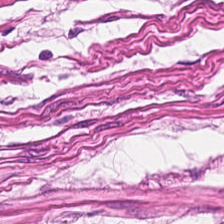224×224 px tile · WSI patch · H&E stain — Q: What type of tissue is this?
A: The field shows muscularis.
